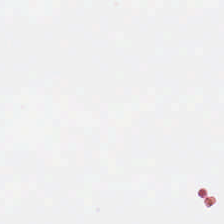Stain: H&E.
Content: background (no tissue).
